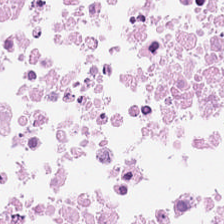Hematoxylin-and-eosin stained section.
This patch shows debris.
